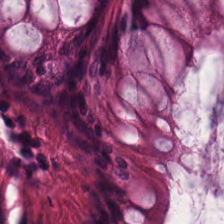224×224 px patch · hematoxylin-and-eosin stained section — Q: What does this patch show?
A: The field shows normal colonic mucosa.
